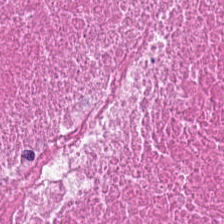Hematoxylin-and-eosin stained section; 224×224 px patch.
Histology — debris.
